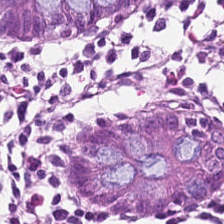H&E stain · WSI patch.
The predominant tissue is normal colon mucosa.
